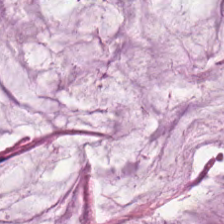H&E. This field is extracellular mucin.
